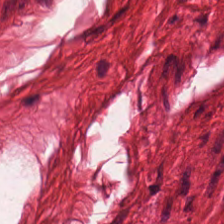H&E · 20× equivalent magnification — Histology → smooth muscle.
